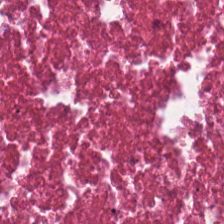H&E.
The tissue here is debris.
